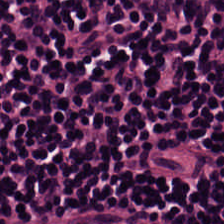Predominantly lymphocytic infiltrate.
